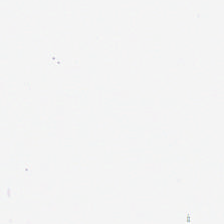FFPE tissue section; H&E stain.
Q: What is shown in this field?
A: This is empty background.
